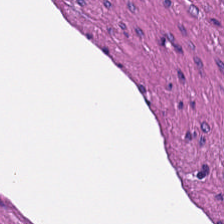Finding — smooth-muscle tissue.
